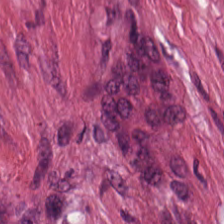H&E-stained tissue section. Brightfield — The tissue type is tumor-associated stroma.
